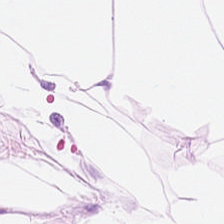Hematoxylin and eosin — The predominant tissue is adipose.
